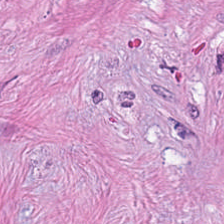Tissue type — tumor stroma.
